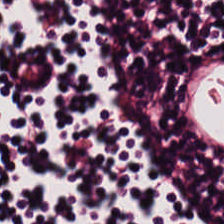Hematoxylin-and-eosin stained section · FFPE — The tissue is lymphoid infiltrate.
